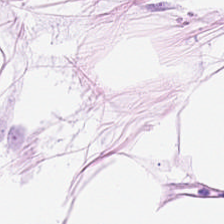H&E.
Tissue class: fat tissue.
